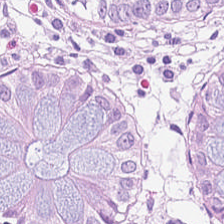Non-neoplastic colon mucosa.
